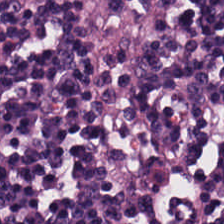H&E.
The tissue here is lymphocytic infiltrate.
